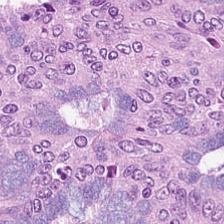Hematoxylin and eosin — Finding → tumor epithelium.
